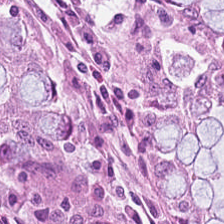Predominantly normal colonic mucosa.
